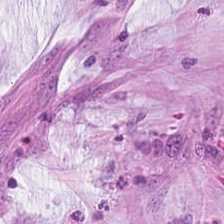0.5 µm per pixel · whole-slide-image patch · H&E. Q: What is shown here?
A: Mucin.
